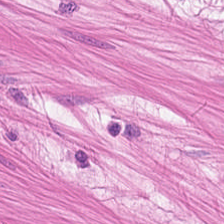Tissue class: muscularis.
